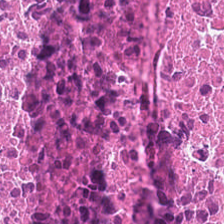Hematoxylin-and-eosin stained section — The predominant tissue is debris.
